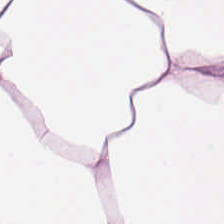H&E-stained tissue section. FFPE tissue section. Q: What tissue is shown?
A: The field shows adipose tissue.
